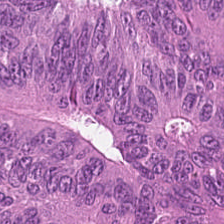FFPE tissue section. 224×224 pixel tile. Hematoxylin-and-eosin stained section — Tissue class = colorectal adenocarcinoma.
